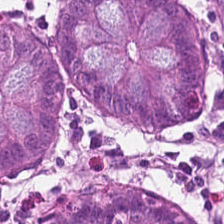H&E-stained tissue section. 0.5 microns per pixel. Brightfield microscopy. Histology — normal colon mucosa.
